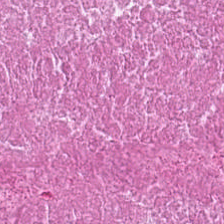Showing debris.
